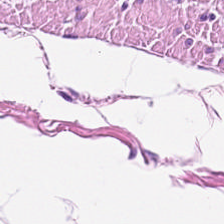H&E-stained tissue section · FFPE tissue section — Q: Identify the tissue.
A: The field shows smooth-muscle tissue.
